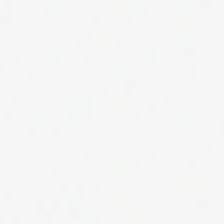224×224 px tile · FFPE tissue section · H&E.
Field content: background.
